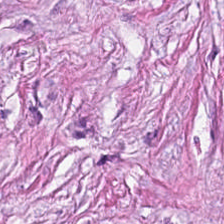H&E — Histology — tumor stroma.
